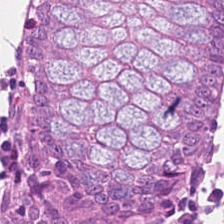Q: What does this patch show?
A: It is non-neoplastic colon mucosa.
